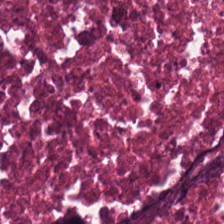Hematoxylin and eosin. Brightfield microscopy — Q: What type of tissue is this?
A: The field shows debris.
